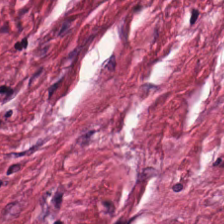Hematoxylin and eosin. Q: What is shown in this field?
A: The field shows tumor stroma.
